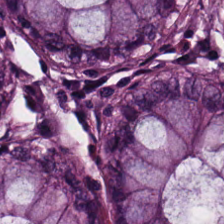H&E-stained tissue section.
Classification: normal colon mucosa.
